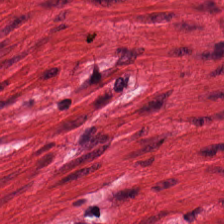224×224 pixel tile · H&E stain.
Predominant tissue: smooth muscle.
